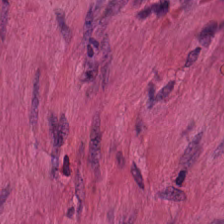Hematoxylin-and-eosin stained section; 224×224 pixel tile.
Q: What is shown here?
A: This is smooth muscle.
